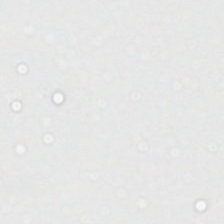Stain: H&E.
Classification: background.
